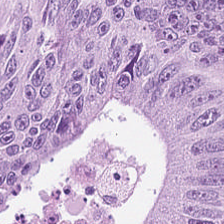Hematoxylin and eosin. FFPE. 224×224 pixel tile. The predominant tissue is colorectal adenocarcinoma epithelium.
